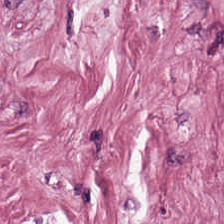H&E — This field is desmoplastic stroma.
